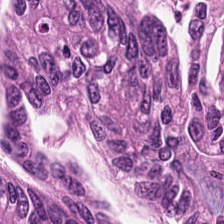Colorectal adenocarcinoma epithelium.
